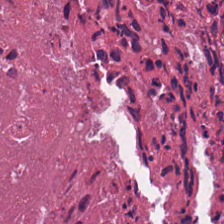Finding → necrotic debris.
